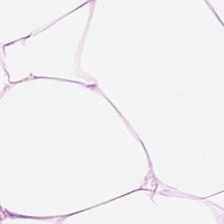H&E-stained tissue section.
Histology → fat tissue.
